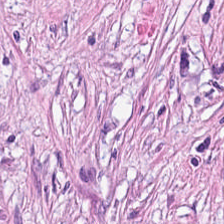H&E stain. Tissue type: tumor-associated stroma.
